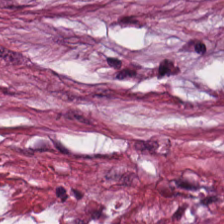This patch shows desmoplastic stroma.
